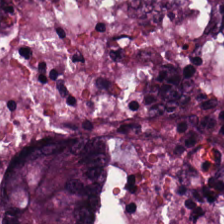Stain: H&E-stained tissue section.
Resolution: 0.5 microns per pixel.
Classification: colorectal adenocarcinoma epithelium.
